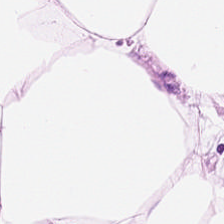Hematoxylin-and-eosin stained section.
Q: What is shown here?
A: The field shows fat tissue.
